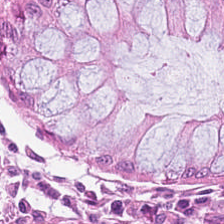H&E stain.
This field is normal colon mucosa.
